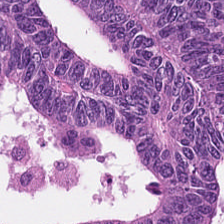Impression → colorectal adenocarcinoma.
